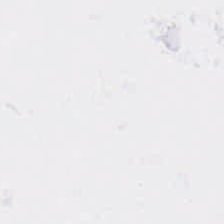Stain: H&E.
Field content: empty background.
